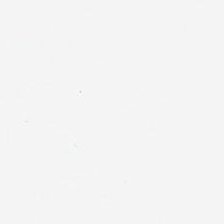This patch shows background.
